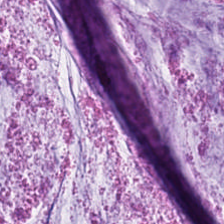H&E-stained tissue section showing mucin.
